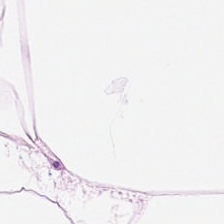H&E stain; brightfield microscopy. Q: What type of tissue is this?
A: It is fat tissue.
